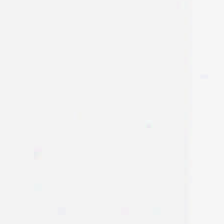Stain: hematoxylin-and-eosin stained section.
Acquisition: whole-slide-image patch.
Preparation: formalin-fixed paraffin-embedded section.
Classification: background.
